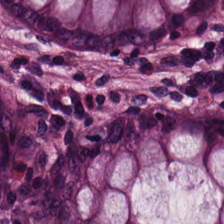224×224 px patch. Hematoxylin-and-eosin stained section. Predominant tissue: benign colonic mucosa.
